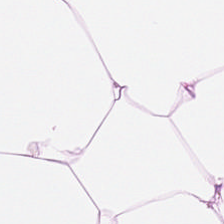H&E-stained tissue section — Finding — adipose.
